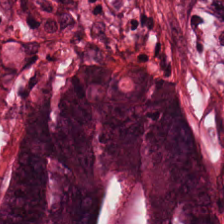Brightfield. 224×224 px tile. H&E-stained tissue section. This field is colorectal adenocarcinoma epithelium.
